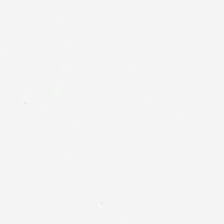{"content": "background"}
